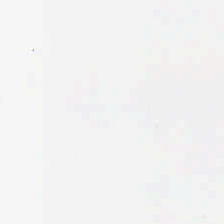Stain: hematoxylin and eosin.
Content: no tissue.
